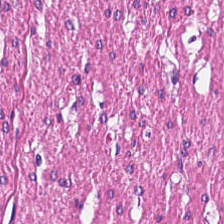H&E-stained tissue section. Predominant tissue = smooth muscle.
